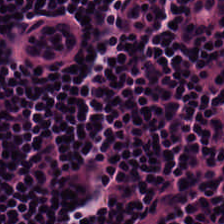Stain: hematoxylin-and-eosin stained section.
Tile size: 224×224 px patch.
Classification: lymphocyte aggregate.
